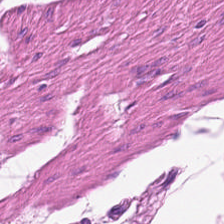The tissue type is smooth-muscle tissue.
